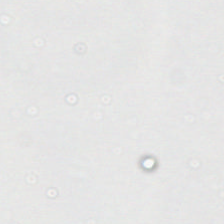Background — no tissue in this field.
